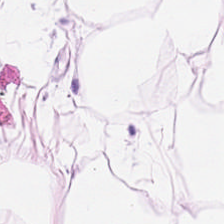Histology — fat tissue.
